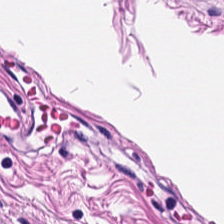H&E stain. Impression — smooth-muscle tissue.
